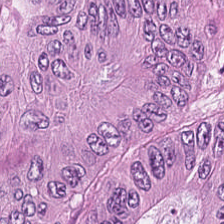0.5 microns per pixel. 224×224 px tile. Hematoxylin and eosin. The tissue class is adenocarcinoma.
